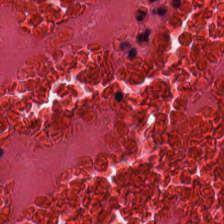0.5 µm/px · hematoxylin and eosin · brightfield — {"tissue_type": "debris"}
